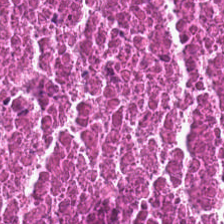Tissue class = cellular debris.
